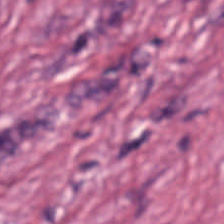224×224 px patch. H&E.
Tumor-associated stroma.
